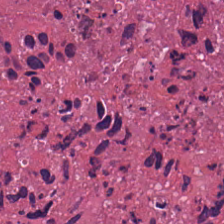0.5 microns per pixel; hematoxylin and eosin. This field is necrotic debris.
